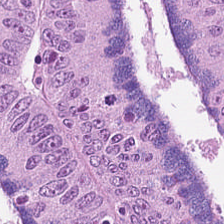H&E · FFPE tissue section. Predominant tissue = adenocarcinoma.
